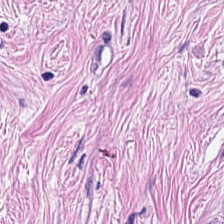Hematoxylin and eosin — Tissue type — cancer-associated stroma.
